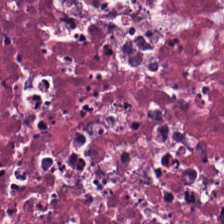Stain: H&E.
Tissue type: cellular debris.
